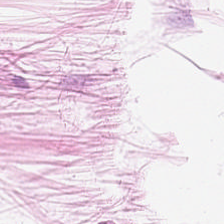Tissue class = adipose tissue.
